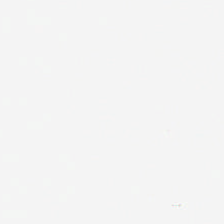Stain: hematoxylin and eosin.
Field content: empty background.
